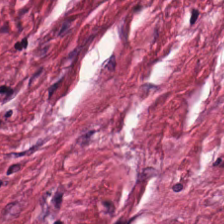H&E-stained tissue section · 0.5 µm/px · FFPE. Q: What type of tissue is this?
A: The field shows desmoplastic stroma.
